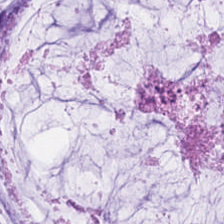This field is extracellular mucin.
